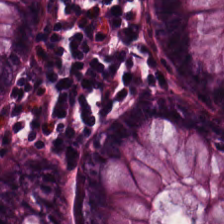H&E-stained tissue section. 224×224 px patch. Q: Identify the tissue.
A: Normal colon mucosa.
